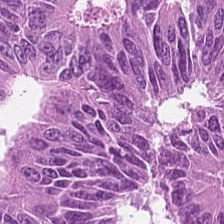H&E stain · 0.5 µm/px.
Showing adenocarcinoma.
